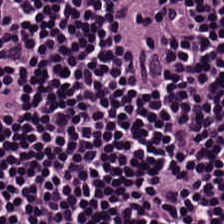H&E stain. WSI patch.
Tissue = lymphoid infiltrate.
